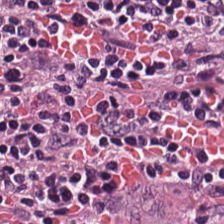H&E stain. This patch shows lymphocytes.
